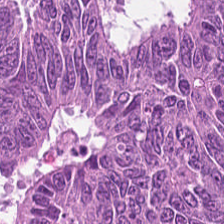H&E-stained tissue section showing malignant epithelium.
